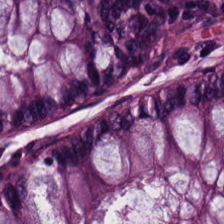Hematoxylin and eosin — The tissue here is non-neoplastic colon mucosa.
